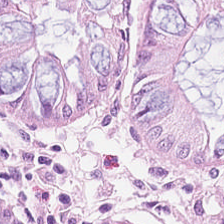Stain: hematoxylin-and-eosin stained section.
Tile size: 224×224 pixel tile.
Classification: normal colonic mucosa.
